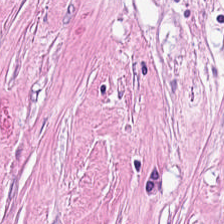Showing tumor-associated stroma.
